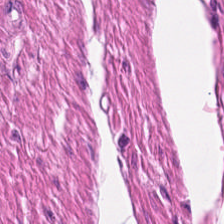H&E-stained tissue section.
Smooth muscle.
